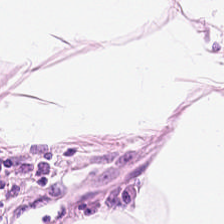The tissue class is fat tissue.
